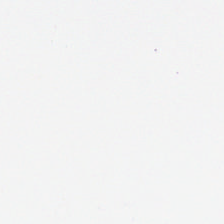224×224 pixel tile. H&E stain.
Empty field — empty background.
